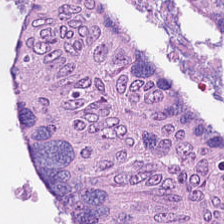Hematoxylin-and-eosin stained section.
The predominant tissue is tumor epithelium.
